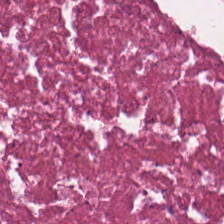WSI patch · H&E · 0.5 microns per pixel. The tissue type is debris.
